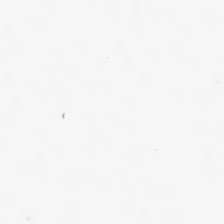Content: empty background.
